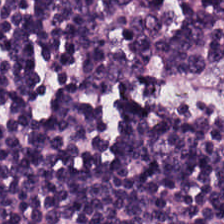H&E patch showing lymphocyte aggregate.
